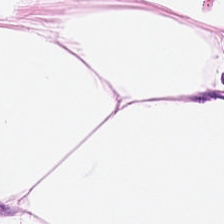H&E — Classification: fat tissue.
